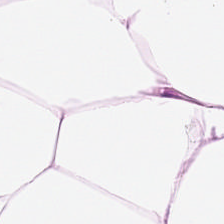Hematoxylin-and-eosin stained section. Whole-slide-image patch. FFPE. Tissue class: adipose.
